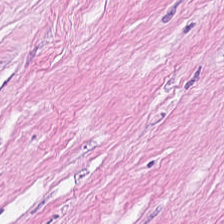H&E-stained tissue section.
Q: Identify the tissue.
A: The field shows cancer-associated stroma.
